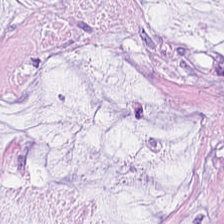This patch shows mucus.
